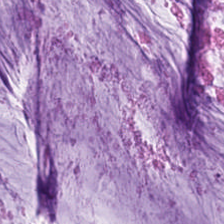H&E stain.
Q: What type of tissue is this?
A: Mucin.
